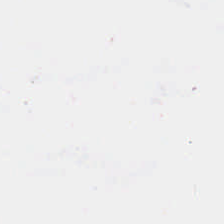{"content": "background (no tissue)"}
